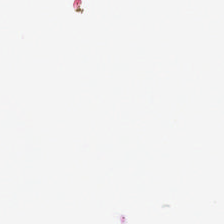No tissue present; background only.
